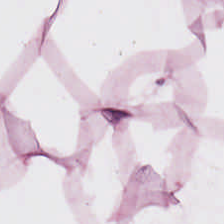H&E-stained tissue section · FFPE tissue section.
The predominant tissue is adipose.
